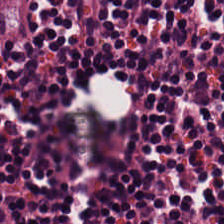Hematoxylin and eosin · brightfield. Q: What type of tissue is this?
A: This is lymphocytes.
